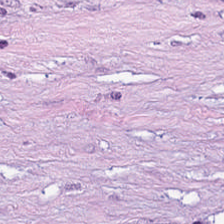Hematoxylin-and-eosin stained section; 224×224 px tile.
Q: What tissue is shown?
A: It is tumor-associated stroma.
